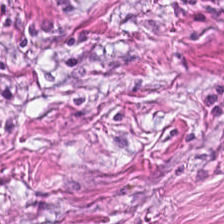The tissue here is cancer-associated stroma.
